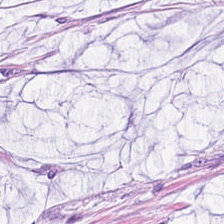Stain: H&E-stained tissue section.
Tile size: 224×224 pixel tile.
Tissue: mucus.
